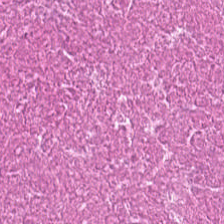Stain: hematoxylin-and-eosin stained section.
Acquisition: brightfield.
Predominant tissue: debris.
